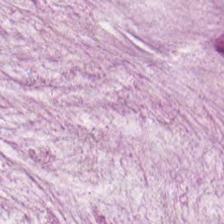FFPE tissue section · H&E stain · 0.5 microns per pixel.
Q: What tissue type is shown here?
A: The field shows extracellular mucin.
